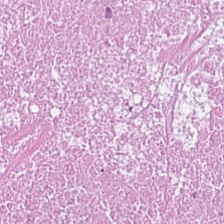The predominant tissue is cellular debris.
